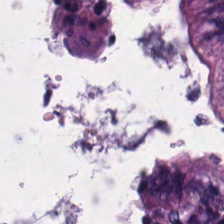FFPE · H&E-stained tissue section. Finding — benign colonic mucosa.
